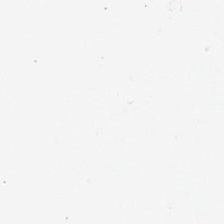Stain: hematoxylin-and-eosin stained section.
Classification: background.
